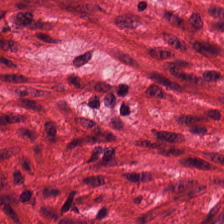H&E · FFPE — Tissue type: smooth-muscle tissue.
